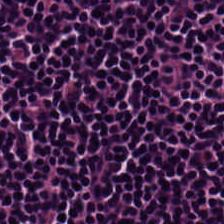H&E stain · 224×224 pixel tile. {"tissue_type": "lymphocyte aggregate"}
